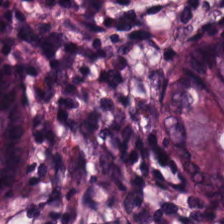Impression → non-neoplastic colon mucosa.
